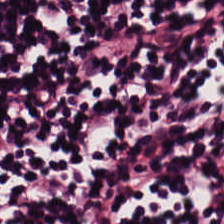The tissue here is lymphocytic infiltrate.
